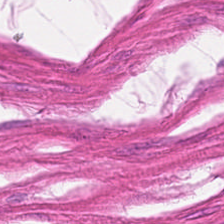{"tissue_type": "smooth-muscle tissue"}
